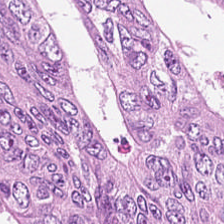Hematoxylin-and-eosin stained section · 0.5 µm/px.
Showing colorectal adenocarcinoma epithelium.
